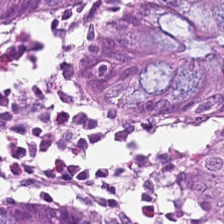Normal colonic mucosa.
